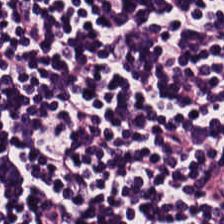H&E patch showing lymphocytes.
